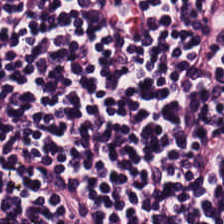Hematoxylin and eosin. FFPE tissue section. The tissue here is lymphoid infiltrate.
